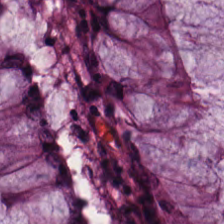Brightfield; 224×224 pixel tile; H&E-stained tissue section.
Predominant tissue — normal colon mucosa.
